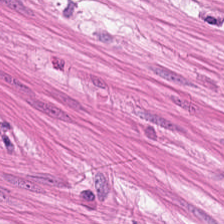224×224 pixel tile; H&E — {"tissue_type": "smooth-muscle tissue"}
